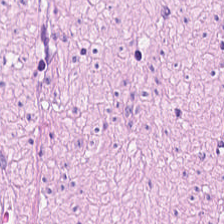0.5 microns per pixel. Brightfield. Hematoxylin-and-eosin stained section — This field is smooth-muscle tissue.
